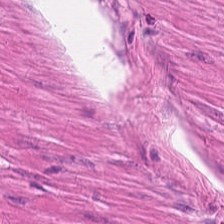Hematoxylin and eosin — Tissue = muscularis.
